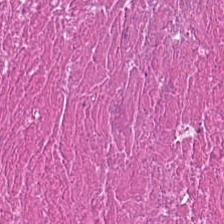Brightfield · H&E-stained tissue section · 20× equivalent magnification. This patch shows cellular debris.
